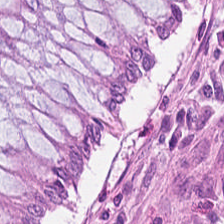H&E stain · 20× equivalent magnification. Q: What type of tissue is this?
A: The field shows non-neoplastic colon mucosa.
